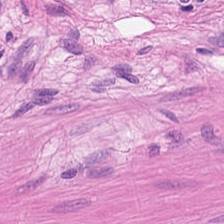H&E. The tissue class is smooth muscle.
